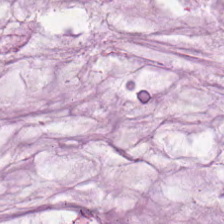H&E · 0.5 µm per pixel — This patch shows mucus.
